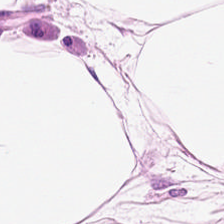H&E stain — The tissue here is adipose.
